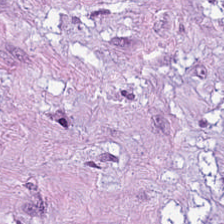FFPE tissue section; H&E.
Q: Classify this patch.
A: It is desmoplastic stroma.
